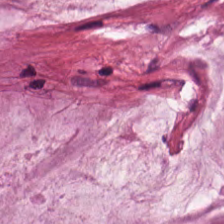Hematoxylin and eosin. The tissue here is mucus.
